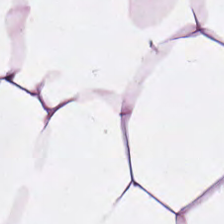H&E stain. Showing adipose tissue.
